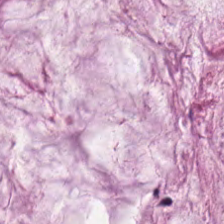H&E · WSI patch. Predominant tissue = mucus.
